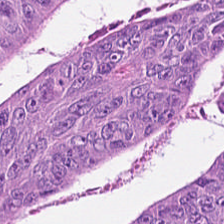Stain: hematoxylin-and-eosin stained section.
Acquisition: brightfield microscopy.
Preparation: FFPE.
Tissue class: tumor epithelium.
